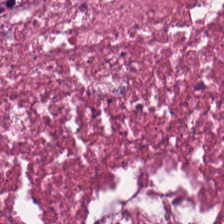H&E stain — The tissue type is necrotic debris.
